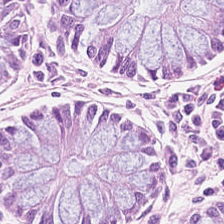{"tissue_type": "benign colonic mucosa"}
